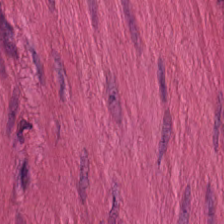Hematoxylin-and-eosin stained section. Q: What does this patch show?
A: This is smooth muscle.
